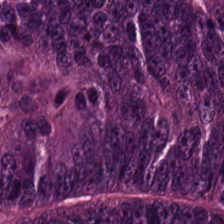Stain: H&E stain.
Acquisition: brightfield.
Resolution: 0.5 µm/px.
Predominant tissue: malignant epithelium.
